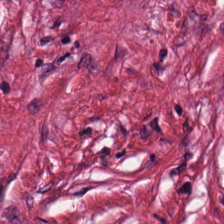FFPE tissue section; hematoxylin-and-eosin stained section.
Q: What is shown here?
A: This is tumor stroma.
